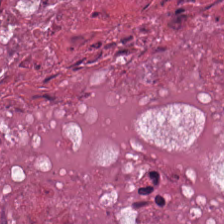Brightfield · H&E stain — This field is necrotic debris.
